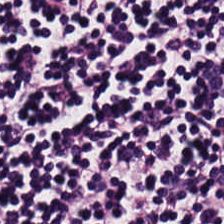WSI patch. Hematoxylin and eosin.
Predominantly lymphocyte aggregate.
